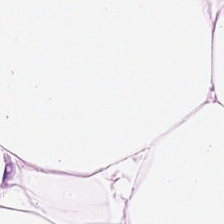H&E stain. Formalin-fixed paraffin-embedded section. 224×224 px tile — Histology → fat tissue.
